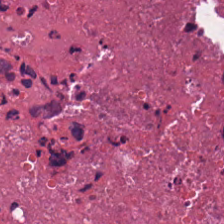H&E.
Showing cellular debris.
